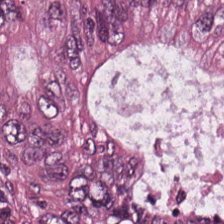Finding — tumor epithelium.
